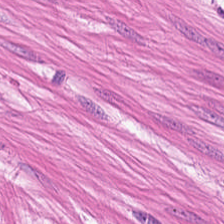Predominant tissue: smooth-muscle tissue.
